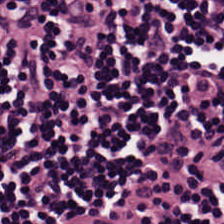Q: What tissue type is shown here?
A: This is lymphocytes.
